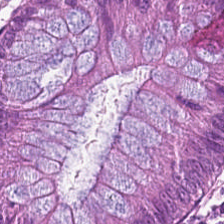H&E stain; whole-slide-image patch; 224×224 px patch. The tissue type is non-neoplastic colon mucosa.
